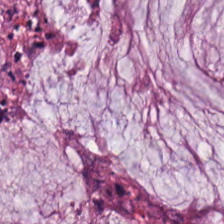Hematoxylin-and-eosin stained section · FFPE tissue section. Tissue class — mucin.
